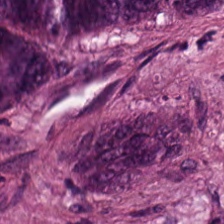0.5 µm/px. H&E-stained tissue section — Q: What is shown in this field?
A: It is colorectal adenocarcinoma epithelium.
